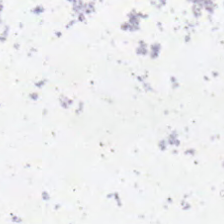The field content is background (no tissue).
